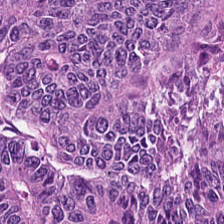H&E-stained tissue section — Showing adenocarcinoma.
